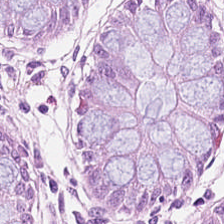H&E-stained tissue section — Impression → non-neoplastic colon mucosa.
